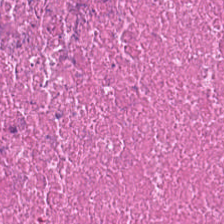Stain: H&E stain.
Classification: debris.
